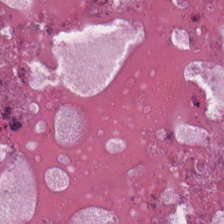H&E-stained tissue section. Tissue — necrotic debris.
